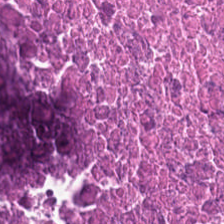Hematoxylin and eosin. Necrotic debris.
